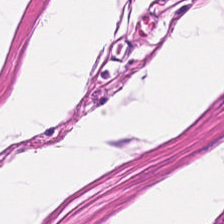Stain: hematoxylin and eosin.
Tissue: muscularis.
